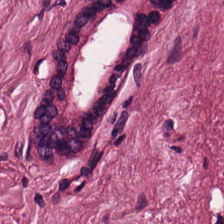Hematoxylin and eosin — Finding — tumor stroma.
